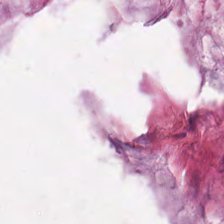Hematoxylin and eosin. Brightfield. 20× equivalent magnification — {"tissue_type": "mucin"}
